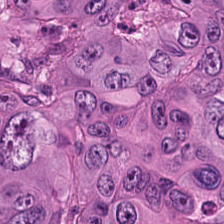H&E stain — Impression — malignant epithelium.
